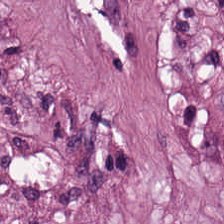Stain: hematoxylin-and-eosin stained section.
Tissue class: tumor stroma.
